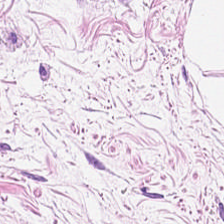H&E stain. Q: What does this patch show?
A: It is adipose.
